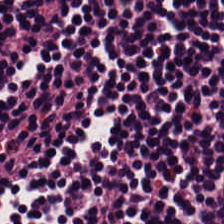H&E patch showing lymphoid infiltrate.
